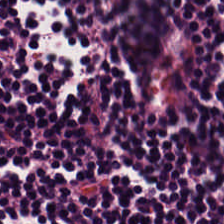H&E · 0.5 µm/px.
Showing lymphocyte aggregate.
